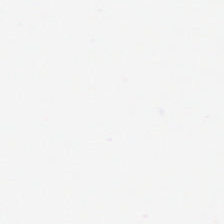Stain: H&E stain.
Tile size: 224×224 px patch.
Content: background (no tissue).
